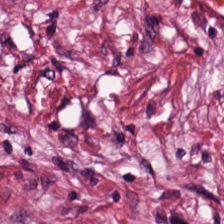FFPE tissue section. Hematoxylin and eosin. Tissue class: tumor stroma.
